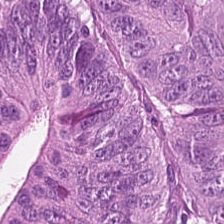Tissue: adenocarcinoma.
